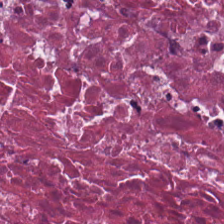H&E.
Necrotic debris.
